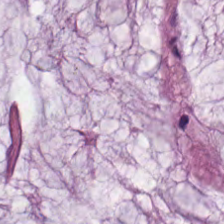H&E; whole-slide-image patch.
This field is mucin.
